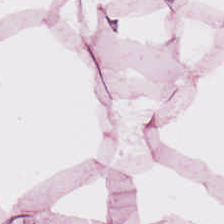H&E-stained tissue section. Q: What tissue type is shown here?
A: This is adipose tissue.
